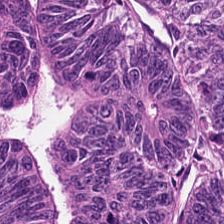Whole-slide-image patch; H&E-stained tissue section.
Predominant tissue = malignant epithelium.
